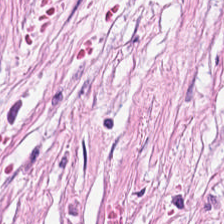Hematoxylin-and-eosin stained section — Tissue — tumor stroma.
